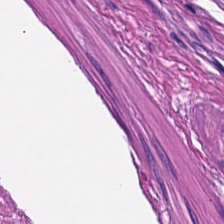Hematoxylin and eosin — Q: What is the predominant tissue type?
A: This is muscularis.
